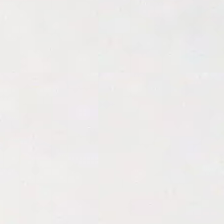H&E stain. Classification: no tissue.
